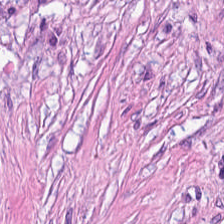The predominant tissue is tumor stroma.
